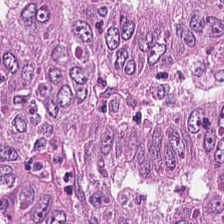H&E.
Finding → colorectal adenocarcinoma epithelium.
